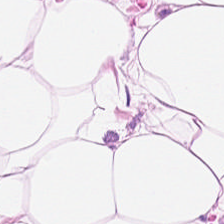Hematoxylin and eosin.
This patch shows adipose tissue.
